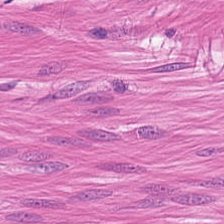This field is muscularis.
